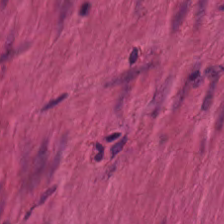Hematoxylin and eosin.
This patch shows smooth-muscle tissue.
